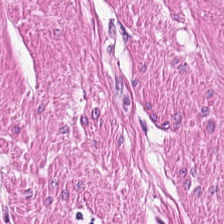224×224 px tile. H&E stain. 20× equivalent magnification — Predominantly smooth-muscle tissue.
